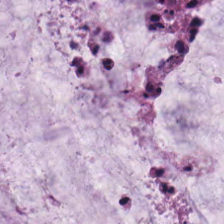Stain: H&E.
Tissue class: mucin.
